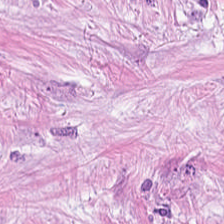FFPE. 0.5 µm/px. Hematoxylin-and-eosin stained section.
Predominant tissue: desmoplastic stroma.
